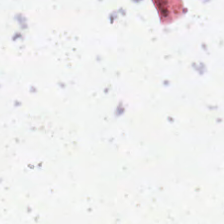H&E-stained tissue section — This field is background (no tissue).
